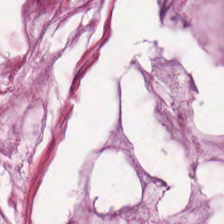H&E stain. This field is mucus.
